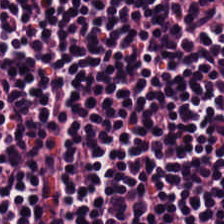Q: What tissue is shown?
A: This is lymphocytes.
